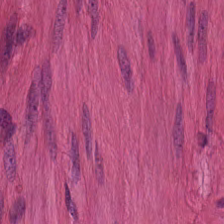Stain: H&E.
Classification: smooth-muscle tissue.
